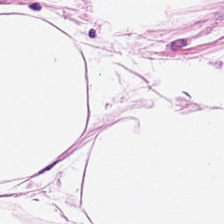Stain: hematoxylin-and-eosin stained section.
Resolution: 0.5 µm/px.
Tissue class: adipocytes.
